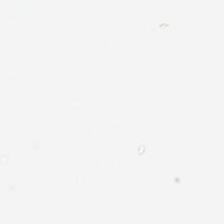H&E. This patch shows no tissue.
